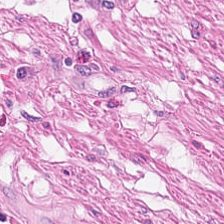Hematoxylin and eosin. Smooth-muscle tissue.
